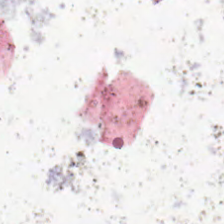H&E. Formalin-fixed paraffin-embedded section. Empty field — background.
